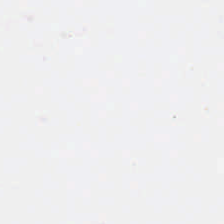Q: What is shown here?
A: Empty background.
